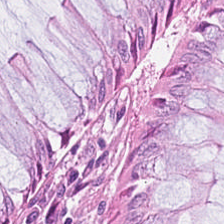Stain: hematoxylin-and-eosin stained section.
Tissue class: normal colonic mucosa.
